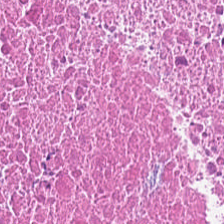H&E — Showing necrotic debris.
